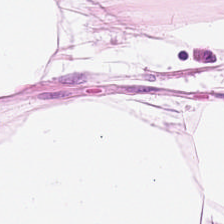H&E stain. This field is adipose tissue.
